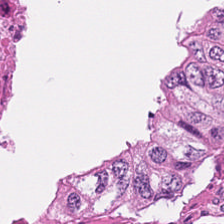Hematoxylin and eosin.
This field is cellular debris.
